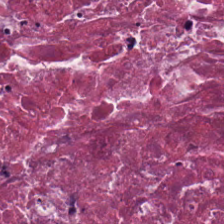H&E stain · 224×224 px patch.
This patch shows necrotic debris.
